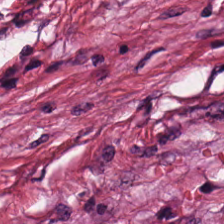H&E stain. The predominant tissue is tumor-associated stroma.
